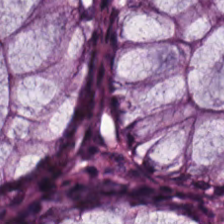H&E stain; 224×224 pixel tile. Predominantly normal colonic mucosa.
